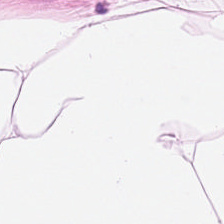Q: What does this patch show?
A: The field shows adipose.
